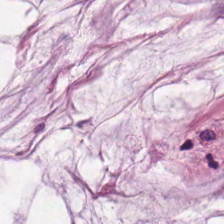Formalin-fixed paraffin-embedded section. Hematoxylin and eosin. Brightfield.
This field is mucus.
